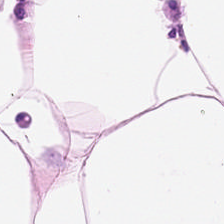Hematoxylin-and-eosin section: adipose.
